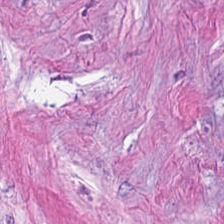Stain: hematoxylin and eosin.
Preparation: FFPE tissue section.
Tissue: desmoplastic stroma.
